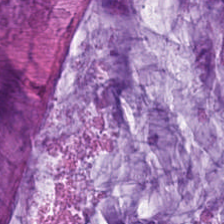H&E-stained tissue section. Q: What is shown in this field?
A: This is mucin.
